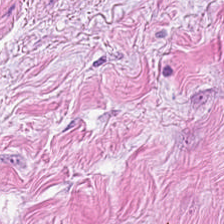20× equivalent magnification. H&E stain — Tissue = tumor-associated stroma.
